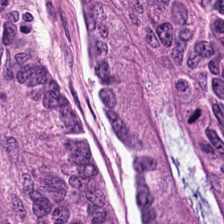Stain: H&E stain.
Resolution: 20× equivalent magnification.
Preparation: FFPE tissue section.
Tissue: colorectal adenocarcinoma epithelium.
